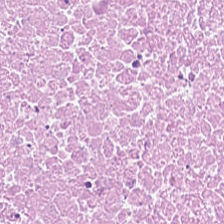H&E stain. Whole-slide-image patch. 224×224 pixel tile. The tissue here is necrotic debris.
